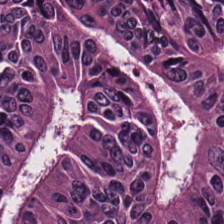H&E-stained tissue section · 224×224 pixel tile — The tissue here is colorectal adenocarcinoma epithelium.
